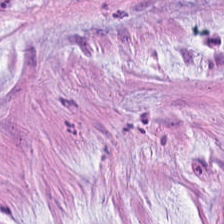H&E; 0.5 microns per pixel — Tissue class — mucin.
